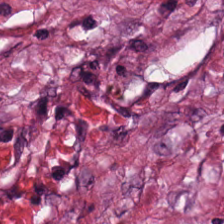Predominant tissue — tumor stroma.
